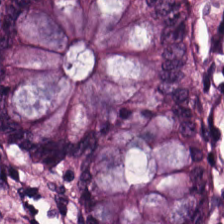Hematoxylin-and-eosin stained section. Showing benign colonic mucosa.
